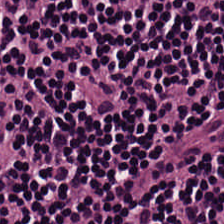Hematoxylin-and-eosin section: lymphoid infiltrate.
